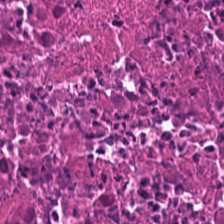Q: What tissue is shown?
A: This is debris.
